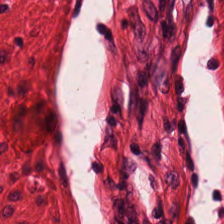H&E.
Predominantly smooth-muscle tissue.
